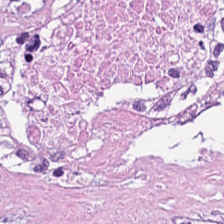H&E-stained tissue section.
Tissue type: cellular debris.
